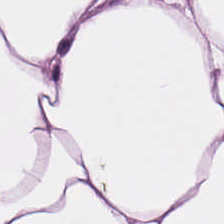224×224 px tile. Hematoxylin-and-eosin stained section. Adipose.
